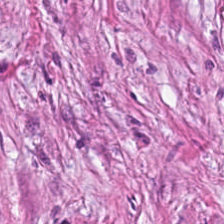Hematoxylin-and-eosin stained section; 224×224 pixel tile; 0.5 µm/px. Showing cancer-associated stroma.
